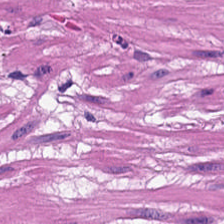H&E; FFPE — Q: What tissue type is shown here?
A: The field shows muscularis.
